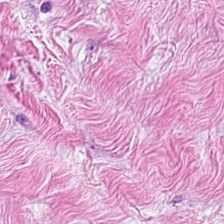Hematoxylin and eosin — This field is cancer-associated stroma.
